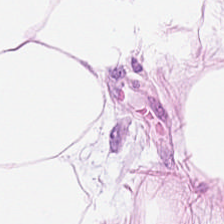H&E-stained section; the field shows adipose.
